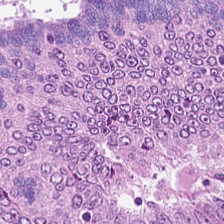Q: What tissue type is shown here?
A: The field shows tumor epithelium.
